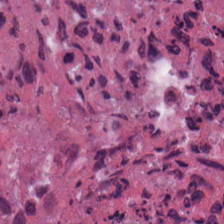Impression — debris.
